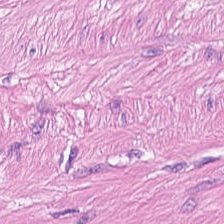FFPE; H&E-stained tissue section. Tissue type: smooth muscle.
